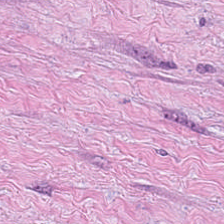Hematoxylin and eosin. Q: What tissue is shown?
A: This is tumor-associated stroma.
